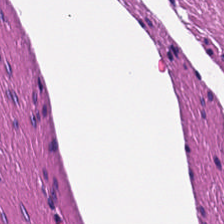H&E stain. 20× equivalent magnification. 224×224 px tile — Q: What tissue type is shown here?
A: This is smooth muscle.
